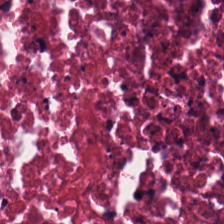Necrotic debris.
